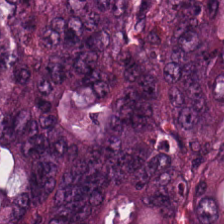Stain: hematoxylin and eosin.
Tissue class: tumor epithelium.
